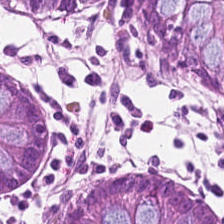H&E — Q: What tissue is shown?
A: This is normal colon mucosa.
